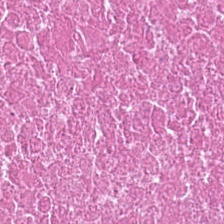H&E; FFPE tissue section; 0.5 microns per pixel.
Predominantly cellular debris.
